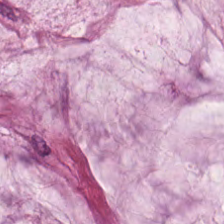Impression — mucus.
